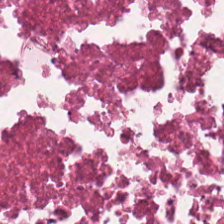Stain: hematoxylin and eosin.
Tile size: 224×224 px tile.
Resolution: 20× equivalent magnification.
Tissue: cellular debris.
